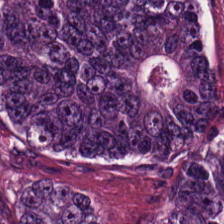Hematoxylin-and-eosin stained section.
Impression → malignant epithelium.
